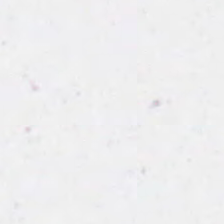No tissue present; background only.
